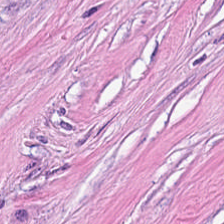WSI patch. FFPE tissue section. H&E stain. Impression → cancer-associated stroma.
